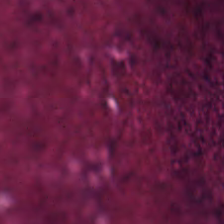H&E-stained section; the field shows necrotic debris.
